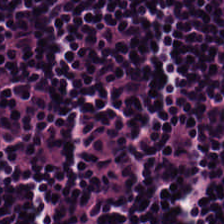The tissue here is lymphocyte aggregate.
